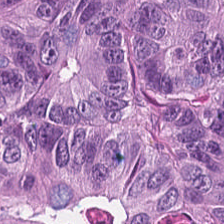H&E stain. The tissue here is adenocarcinoma.
